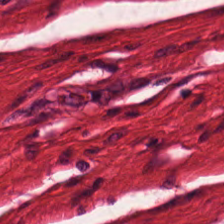H&E. FFPE tissue section. 224×224 px patch — Q: What is shown here?
A: The field shows smooth-muscle tissue.
